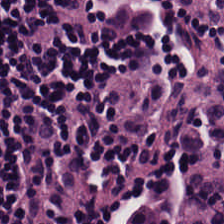Hematoxylin and eosin; 0.5 µm/px.
This patch shows lymphocytic infiltrate.
